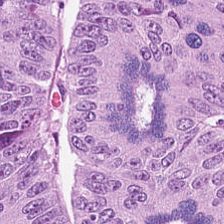Stain: hematoxylin and eosin.
Acquisition: brightfield.
Classification: malignant epithelium.
